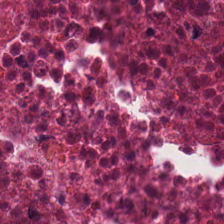0.5 µm per pixel. Hematoxylin and eosin. Whole-slide-image patch.
Q: What type of tissue is this?
A: The field shows debris.
